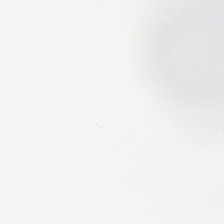Stain: H&E.
Resolution: 20× equivalent magnification.
Tile size: 224×224 pixel tile.
Field content: background.
